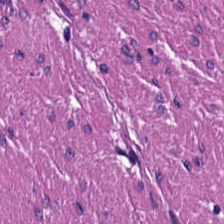H&E-stained tissue section — Classification = muscularis.
